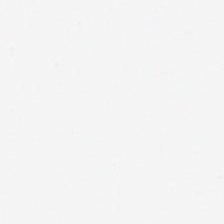Stain: hematoxylin and eosin.
Tile size: 224×224 px tile.
Classification: no tissue.
